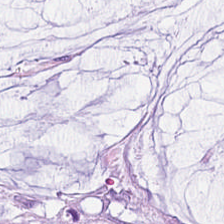Hematoxylin-and-eosin stained section.
Predominantly mucus.
